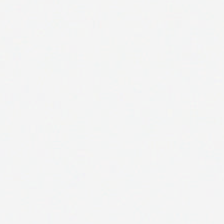Stain: hematoxylin and eosin.
Field content: no tissue.
